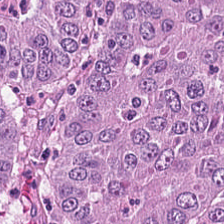H&E.
Predominant tissue = colorectal adenocarcinoma.
